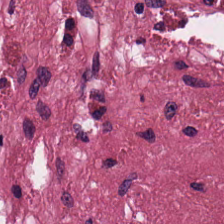H&E stain · WSI patch — Tissue type = cancer-associated stroma.
